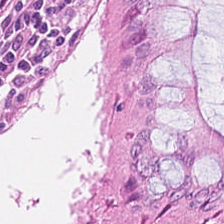H&E-stained tissue section. This patch shows benign colonic mucosa.
